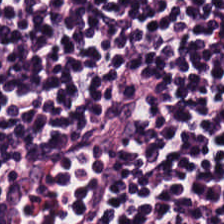H&E-stained tissue section; 224×224 px tile. This field is lymphoid infiltrate.
